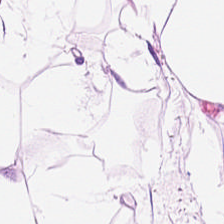The tissue type is adipocytes.
